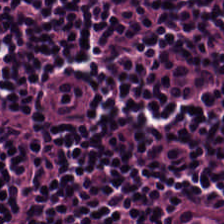Classification — lymphocyte aggregate.
